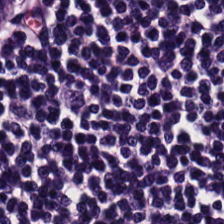Predominantly lymphoid infiltrate.
